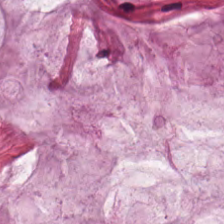Formalin-fixed paraffin-embedded section; H&E — Showing mucin.
